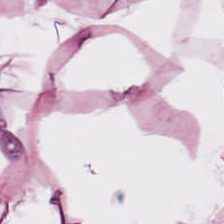FFPE; 224×224 px patch; hematoxylin and eosin. Impression — adipocytes.
